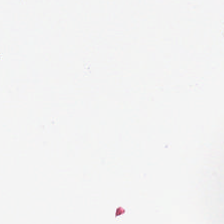No tissue.
